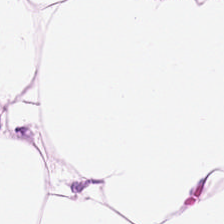Hematoxylin-and-eosin stained section.
Showing fat tissue.
